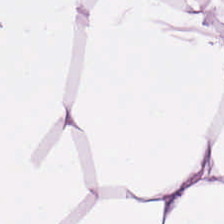Hematoxylin and eosin — This patch shows adipose tissue.
